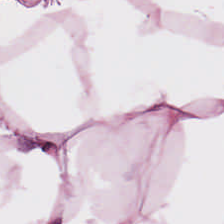H&E-stained tissue section.
Q: What is shown here?
A: Fat tissue.
